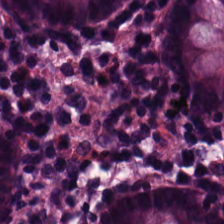H&E; 0.5 microns per pixel. {"tissue_type": "normal colon mucosa"}
